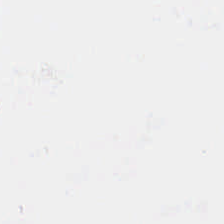Hematoxylin and eosin. Background (no tissue).
